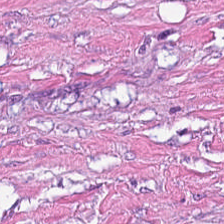Hematoxylin-and-eosin stained section.
Predominantly tumor-associated stroma.
